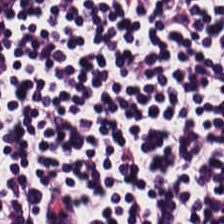224×224 px patch. H&E stain. 0.5 microns per pixel — Lymphocytic infiltrate.
